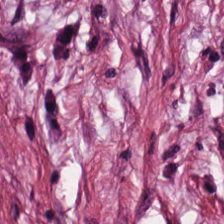Stain: H&E stain.
Tissue class: cancer-associated stroma.
